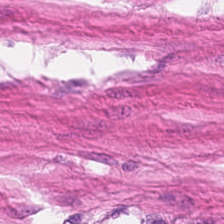H&E stain — Muscularis.
